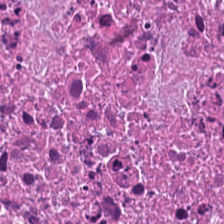Q: What is shown in this field?
A: Necrotic debris.
